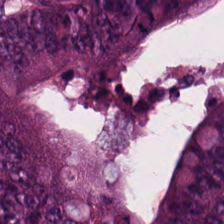Stain: H&E.
Predominant tissue: colorectal adenocarcinoma.
